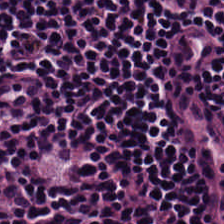H&E; brightfield — Classification — lymphocytic infiltrate.
